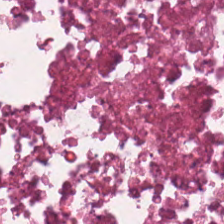H&E stain; 224×224 px tile. Predominant tissue = necrotic debris.
